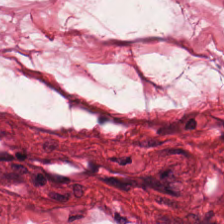Predominantly smooth muscle.
